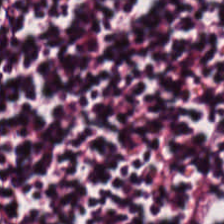Whole-slide-image patch. H&E stain.
Lymphocytic infiltrate.
